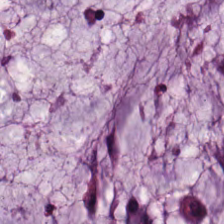224×224 pixel tile. H&E-stained tissue section — This patch shows mucus.
